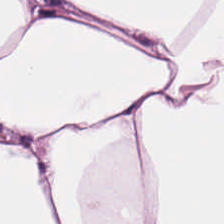Q: What does this patch show?
A: Fat tissue.
